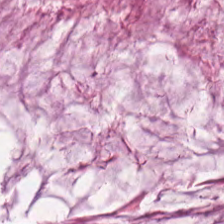224×224 pixel tile; H&E-stained tissue section. This field is mucin.
